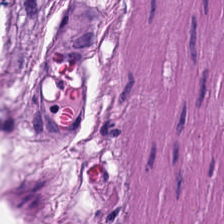Muscularis.
